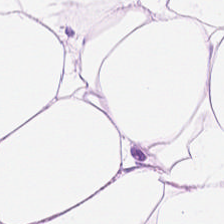Hematoxylin and eosin. Impression → adipose tissue.
